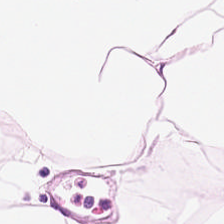H&E — Fat tissue.
